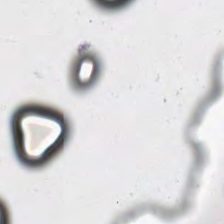Whole-slide-image patch · H&E-stained tissue section. This patch shows background (no tissue).
